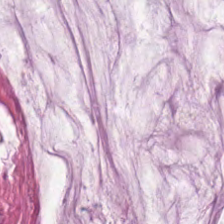H&E stain · 0.5 microns per pixel · WSI patch — Classification — extracellular mucin.
